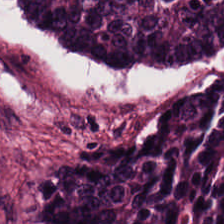Hematoxylin-and-eosin stained section — Histology — tumor epithelium.
